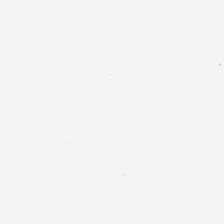0.5 microns per pixel. Hematoxylin and eosin. FFPE tissue section. Field content — background.
